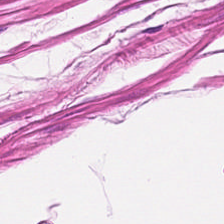Brightfield; H&E stain.
This patch shows muscularis.
